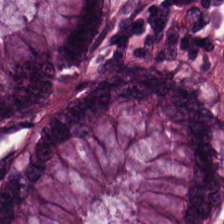Tissue type: non-neoplastic colon mucosa.
